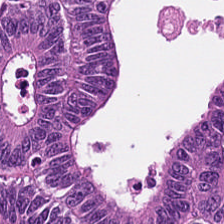Hematoxylin and eosin — {"tissue_type": "adenocarcinoma"}
